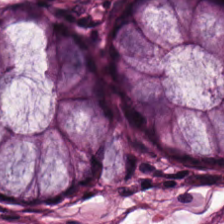Hematoxylin and eosin. Whole-slide-image patch — Benign colonic mucosa.
